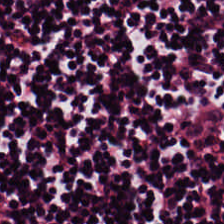H&E — The tissue type is lymphocyte aggregate.
